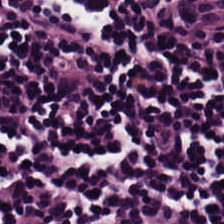Q: Classify this patch.
A: This is lymphocytes.
